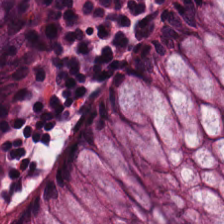WSI patch · 0.5 µm/px · hematoxylin and eosin. Q: What does this patch show?
A: It is non-neoplastic colon mucosa.
